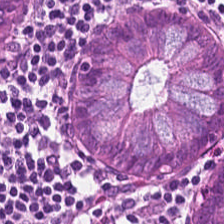Formalin-fixed paraffin-embedded section. 224×224 px tile. Hematoxylin and eosin. Showing non-neoplastic colon mucosa.
